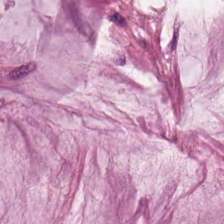0.5 µm/px. Hematoxylin and eosin. The tissue here is mucus.
